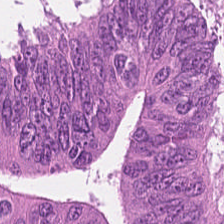H&E stain. 224×224 px patch. The tissue is malignant epithelium.
